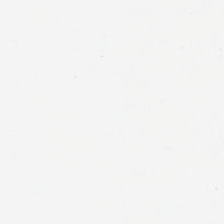H&E stain. No tissue.
